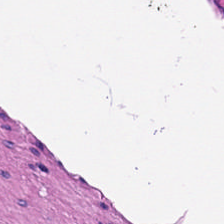H&E stain — Q: What tissue is shown?
A: The field shows muscularis.
